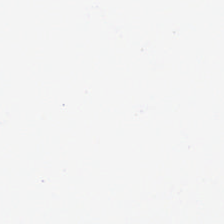H&E-stained tissue section. Brightfield — Field content: empty background.
